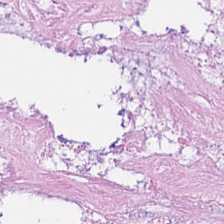Hematoxylin and eosin. Q: What does this patch show?
A: Cellular debris.
